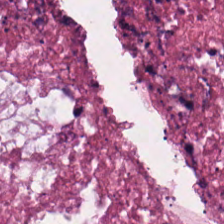Q: Identify the tissue.
A: It is necrotic debris.
